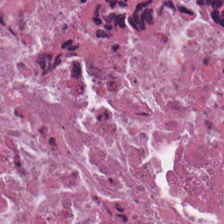0.5 microns per pixel · H&E-stained tissue section · formalin-fixed paraffin-embedded section. Classification: debris.
